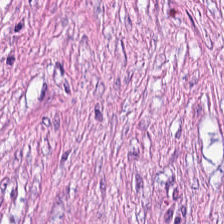WSI patch · 224×224 px tile · hematoxylin-and-eosin stained section.
Showing desmoplastic stroma.
